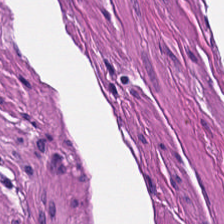H&E patch showing smooth-muscle tissue.
